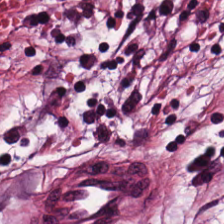224×224 pixel tile; hematoxylin and eosin.
The tissue here is desmoplastic stroma.
